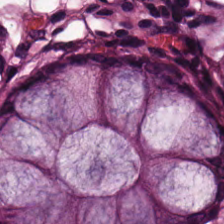H&E-stained tissue section. Q: What does this patch show?
A: The field shows non-neoplastic colon mucosa.
